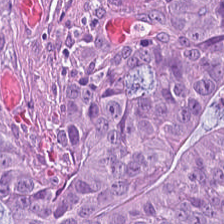FFPE tissue section · hematoxylin-and-eosin stained section — Q: Identify the tissue.
A: The field shows adenocarcinoma.
